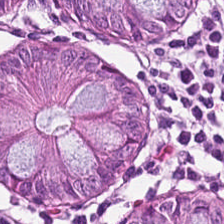Stain: hematoxylin-and-eosin stained section.
Tissue type: normal colon mucosa.
